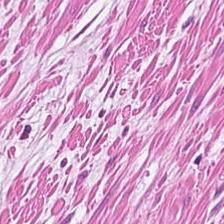224×224 pixel tile; H&E stain. {"tissue_type": "smooth-muscle tissue"}
